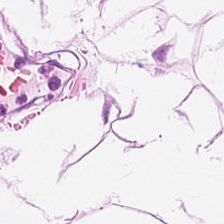Hematoxylin and eosin; 20× equivalent magnification.
Showing adipose.
